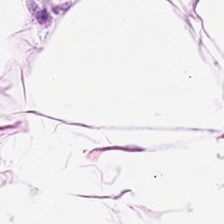224×224 px patch · hematoxylin and eosin. Impression — fat tissue.
